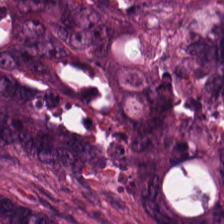Hematoxylin-and-eosin stained section — Colorectal adenocarcinoma epithelium.
